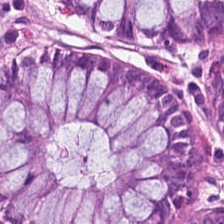Formalin-fixed paraffin-embedded section; H&E-stained tissue section. {"tissue_type": "benign colonic mucosa"}
